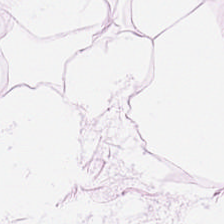Stain: H&E.
Tissue class: adipocytes.
